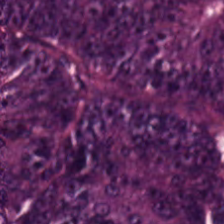H&E. Q: What is shown in this field?
A: It is adenocarcinoma.
